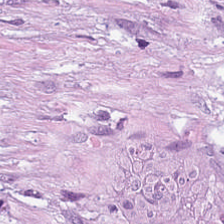20× equivalent magnification. 224×224 pixel tile. Hematoxylin-and-eosin stained section — Q: What tissue type is shown here?
A: It is desmoplastic stroma.
